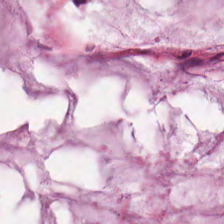Formalin-fixed paraffin-embedded section; hematoxylin-and-eosin stained section. Tissue type = mucin.
